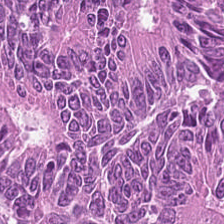Hematoxylin and eosin — Tissue type — colorectal adenocarcinoma.
